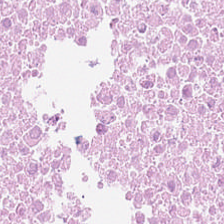H&E-stained tissue section. The predominant tissue is necrotic debris.
